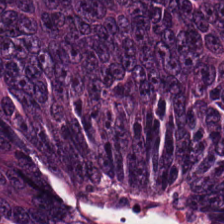Hematoxylin and eosin — Histology → colorectal adenocarcinoma epithelium.
